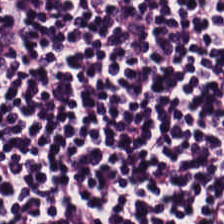Stain: hematoxylin-and-eosin stained section.
Predominant tissue: lymphocytes.
